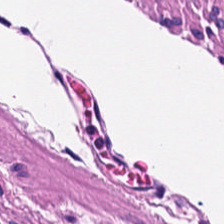H&E stain; 224×224 pixel tile. Histology → smooth muscle.
